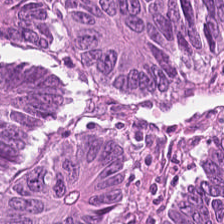224×224 px patch. H&E stain. FFPE — Finding → adenocarcinoma.
